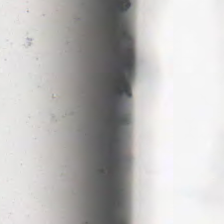H&E stain. WSI patch. No tissue present; background only.
